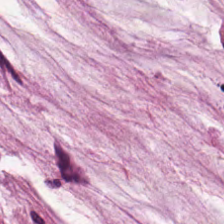H&E stain.
Q: What type of tissue is this?
A: This is mucin.
